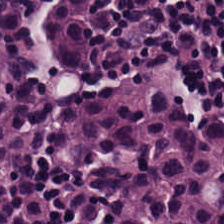FFPE; brightfield microscopy; hematoxylin-and-eosin stained section. The predominant tissue is lymphocytes.
